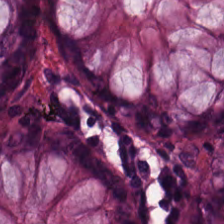Hematoxylin-and-eosin stained section. 20× equivalent magnification. Q: What does this patch show?
A: This is normal colon mucosa.
